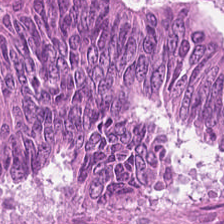This field is adenocarcinoma.
